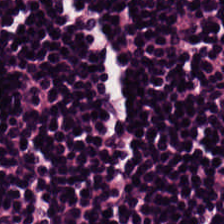H&E. Q: What does this patch show?
A: The field shows lymphocytic infiltrate.
